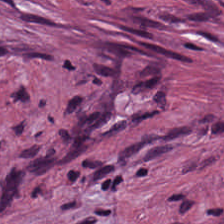Q: What tissue is shown?
A: Desmoplastic stroma.
